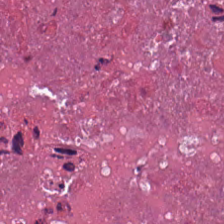20× equivalent magnification; H&E. Predominant tissue — necrotic debris.
